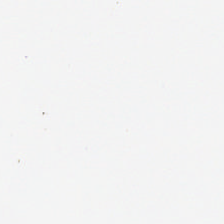H&E-stained tissue section. FFPE. 0.5 microns per pixel — {"content": "no tissue"}
